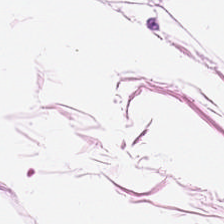Stain: hematoxylin-and-eosin stained section.
Tile size: 224×224 px tile.
Tissue type: adipose tissue.
